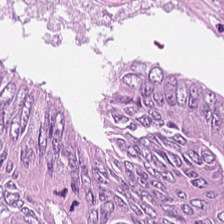H&E · 0.5 µm per pixel.
Colorectal adenocarcinoma epithelium.
